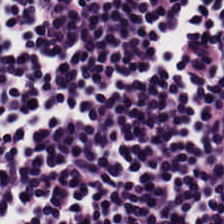H&E patch showing lymphocytic infiltrate.
